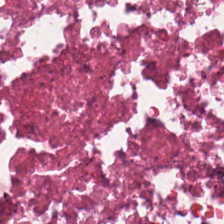H&E-stained tissue section. {"tissue_type": "debris"}
